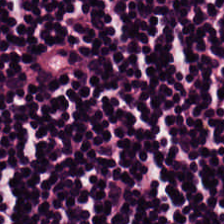Finding — lymphocytic infiltrate.
